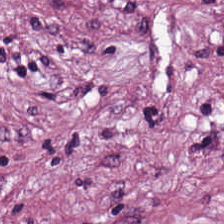Hematoxylin-and-eosin stained section — Predominant tissue: cancer-associated stroma.
